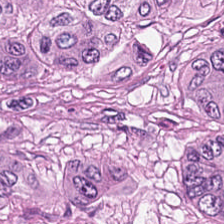Formalin-fixed paraffin-embedded section; H&E. Showing colorectal adenocarcinoma epithelium.
